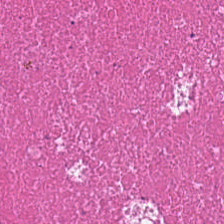FFPE; hematoxylin and eosin. This field is necrotic debris.
